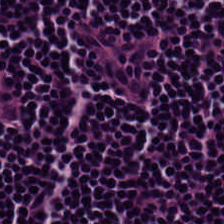Hematoxylin and eosin; 0.5 microns per pixel. The tissue class is lymphoid infiltrate.
